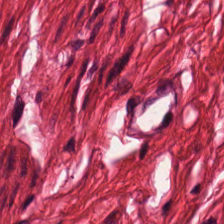Predominantly smooth-muscle tissue.
